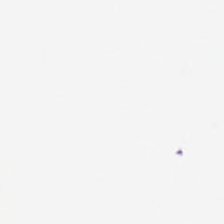H&E-stained tissue section. 20× equivalent magnification. This patch shows background (no tissue).
